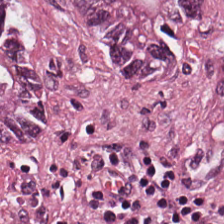Hematoxylin and eosin — Q: What tissue is shown?
A: Colorectal adenocarcinoma.
